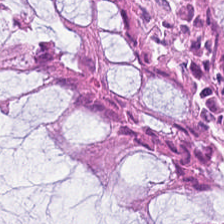H&E · 224×224 pixel tile — Classification = normal colon mucosa.
